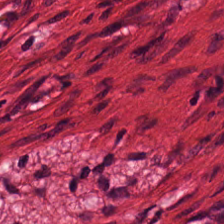FFPE; 224×224 pixel tile; H&E. Q: What type of tissue is this?
A: This is smooth muscle.
